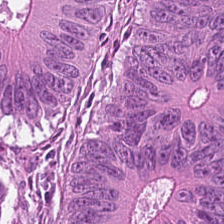H&E-stained section; the field shows tumor epithelium.
